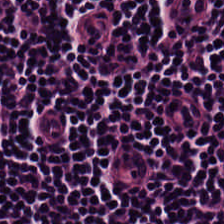Hematoxylin-and-eosin stained section. Q: What tissue is shown?
A: The field shows lymphocyte aggregate.
